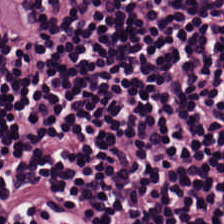20× equivalent magnification. H&E-stained tissue section. Brightfield microscopy. Tissue: lymphocytic infiltrate.
